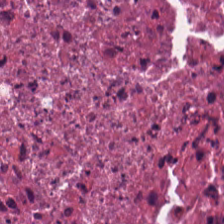Q: What tissue type is shown here?
A: It is necrotic debris.
